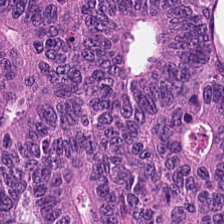H&E-stained tissue section. FFPE tissue section. {"tissue_type": "tumor epithelium"}
